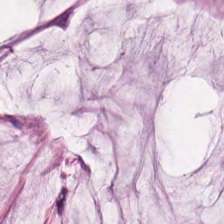H&E stain — Q: What is the predominant tissue type?
A: This is extracellular mucin.
